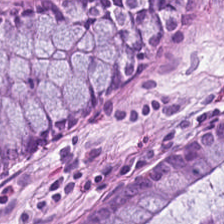The predominant tissue is benign colonic mucosa.
